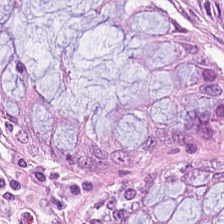Hematoxylin-and-eosin stained section · 224×224 px tile · 0.5 µm per pixel. Classification — normal colon mucosa.
